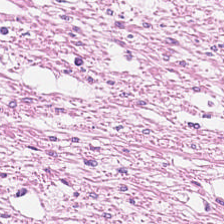Stain: H&E stain.
Predominant tissue: smooth muscle.
